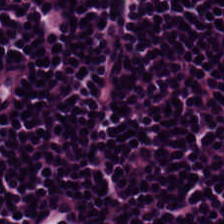Stain: H&E.
Tissue: lymphocyte aggregate.
